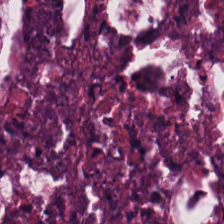224×224 px patch; hematoxylin-and-eosin stained section.
Debris.
